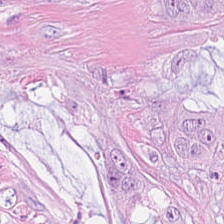Classification — colorectal adenocarcinoma.
